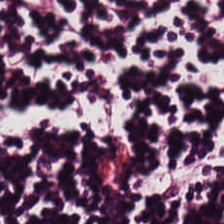Stain: H&E stain.
Acquisition: whole-slide-image patch.
Predominant tissue: lymphocyte aggregate.
